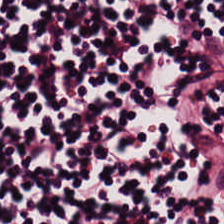H&E stain — The predominant tissue is lymphocytes.
